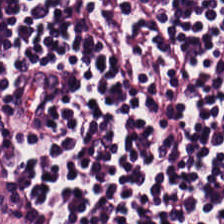Hematoxylin-and-eosin stained section — Histology → lymphocyte aggregate.
